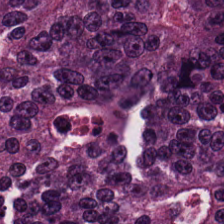H&E stain.
Q: Identify the tissue.
A: This is malignant epithelium.
